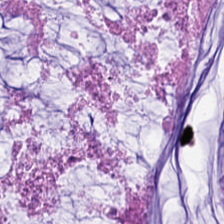Brightfield microscopy; 224×224 px tile; H&E — Q: What tissue type is shown here?
A: Extracellular mucin.
